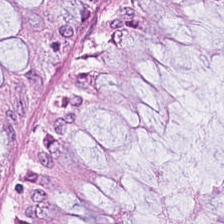0.5 microns per pixel. Hematoxylin-and-eosin stained section. Formalin-fixed paraffin-embedded section — Showing non-neoplastic colon mucosa.
